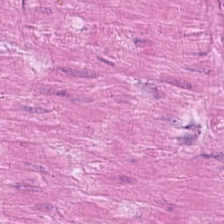Formalin-fixed paraffin-embedded section · 0.5 µm per pixel · hematoxylin and eosin. This field is smooth-muscle tissue.
